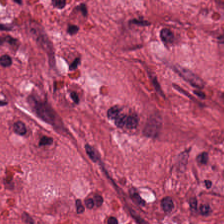H&E-stained tissue section. This patch shows tumor stroma.
